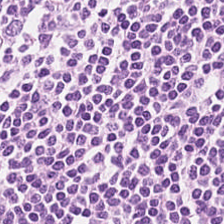H&E — The predominant tissue is lymphocytic infiltrate.
